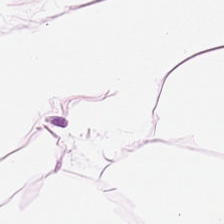Hematoxylin and eosin · 224×224 px patch. The classification is adipose.
